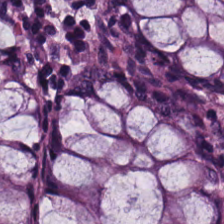Stain: hematoxylin-and-eosin stained section.
Resolution: 20× equivalent magnification.
Classification: normal colon mucosa.
